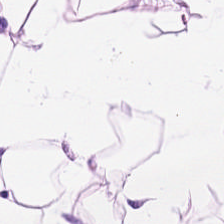H&E stain.
Predominantly adipose.
